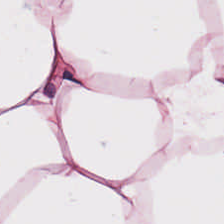Stain: H&E stain.
Preparation: formalin-fixed paraffin-embedded section.
Classification: adipose.
